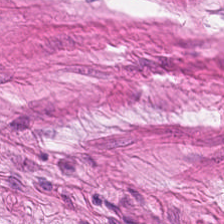Formalin-fixed paraffin-embedded section. H&E. Brightfield.
Predominantly smooth-muscle tissue.
